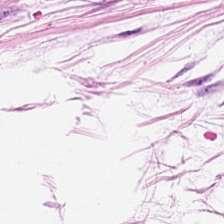The classification is fat tissue.
